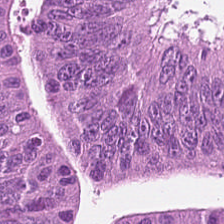H&E stain. The tissue class is colorectal adenocarcinoma.
